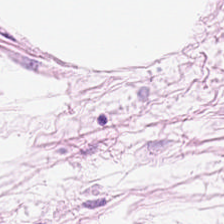Hematoxylin-and-eosin stained section — Predominant tissue: adipose tissue.
